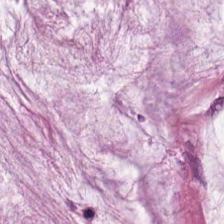H&E. The tissue here is mucin.
